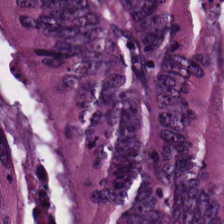224×224 px patch · H&E — Malignant epithelium.
